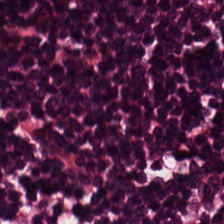This patch shows lymphocytic infiltrate.
